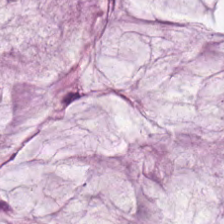Stain: hematoxylin and eosin.
Tissue type: mucin.
